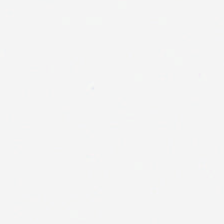H&E-stained tissue section.
No tissue present; background only.
